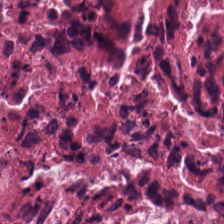H&E. Classification: cellular debris.
